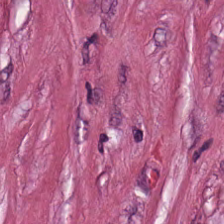Stain: H&E stain.
Tissue: tumor-associated stroma.
